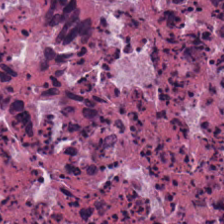Stain: hematoxylin-and-eosin stained section.
Tissue type: cellular debris.
